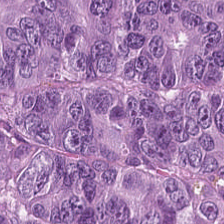Hematoxylin and eosin; WSI patch.
This field is colorectal adenocarcinoma epithelium.
